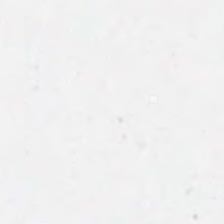WSI patch; H&E stain — Background.
